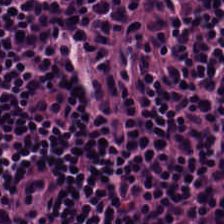H&E-stained tissue section · 0.5 µm per pixel · FFPE tissue section — Q: What is shown here?
A: The field shows lymphocyte aggregate.
